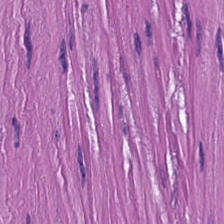This patch shows smooth-muscle tissue.
